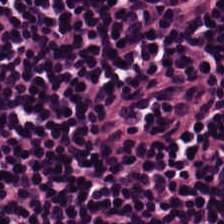Hematoxylin-and-eosin stained section. Predominantly lymphocytes.
